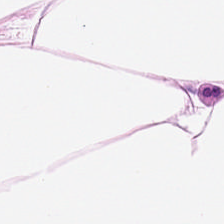Hematoxylin and eosin.
Classification — fat tissue.
